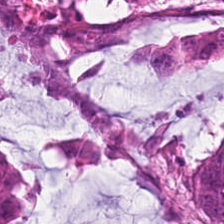{"tissue_type": "colorectal adenocarcinoma epithelium"}
